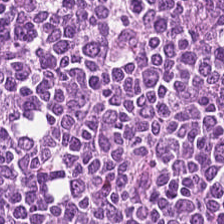H&E-stained tissue section — Tissue = lymphocytes.
